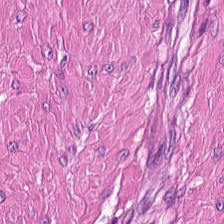224×224 px tile · hematoxylin and eosin. Tissue type — smooth muscle.
